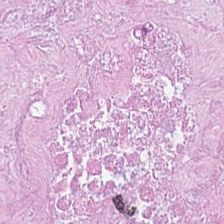H&E stain. Brightfield microscopy. FFPE. Q: What tissue is shown?
A: Debris.
